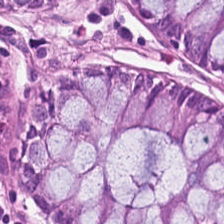Showing normal colon mucosa.
